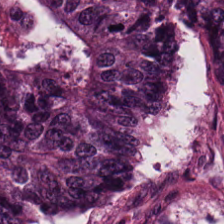224×224 px tile. FFPE tissue section. H&E stain. Q: Classify this patch.
A: It is tumor epithelium.
